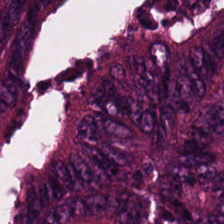224×224 px tile. Hematoxylin and eosin.
The predominant tissue is malignant epithelium.
